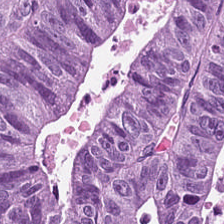H&E · 0.5 microns per pixel.
The tissue here is colorectal adenocarcinoma.
